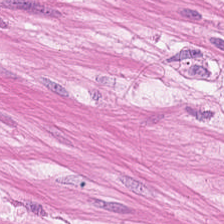Hematoxylin-and-eosin stained section. Whole-slide-image patch.
Tissue = muscularis.
